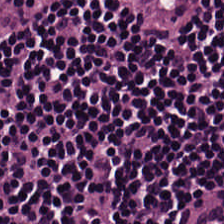Whole-slide-image patch; H&E stain — Lymphocyte aggregate.
